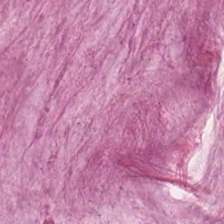H&E. Predominantly mucus.
